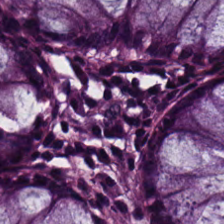224×224 px tile. 20× equivalent magnification. H&E. The classification is normal colonic mucosa.
